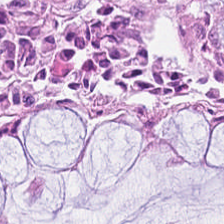Hematoxylin and eosin. This patch shows benign colonic mucosa.
